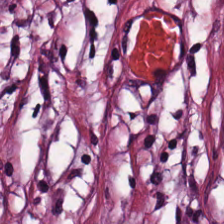H&E. Whole-slide-image patch. 224×224 px patch. The predominant tissue is cancer-associated stroma.
